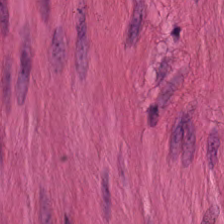Classification = smooth muscle.
